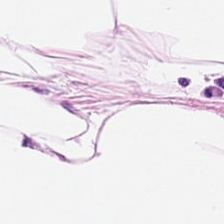0.5 µm per pixel · hematoxylin and eosin · 224×224 px tile.
Q: What is shown in this field?
A: It is adipose.
